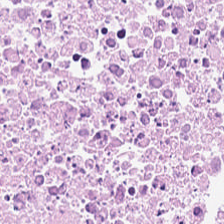Hematoxylin-and-eosin stained section. The tissue here is cellular debris.
